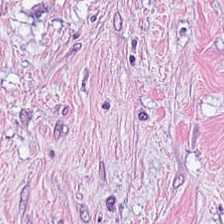Q: What is the predominant tissue type?
A: This is cancer-associated stroma.
